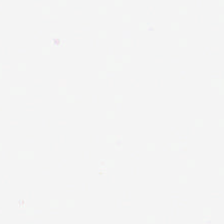WSI patch; H&E stain; FFPE. Content = background (no tissue).
